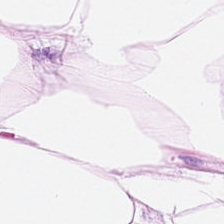Stain: hematoxylin and eosin.
Tissue: fat tissue.
